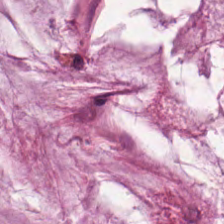Hematoxylin-and-eosin stained section — Showing mucus.
